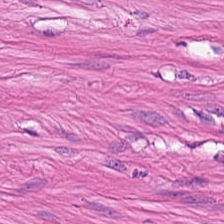H&E stain.
{"tissue_type": "muscularis"}
